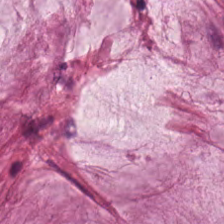H&E-stained tissue section — Tissue: extracellular mucin.
